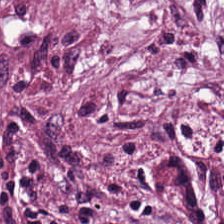Stain: H&E.
Preparation: formalin-fixed paraffin-embedded section.
Tissue class: tumor stroma.
